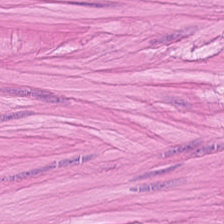Hematoxylin and eosin. Predominantly smooth muscle.
